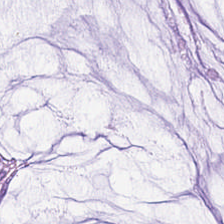0.5 µm per pixel · FFPE tissue section · H&E.
Predominantly extracellular mucin.
